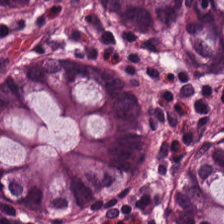Finding — normal colonic mucosa.
